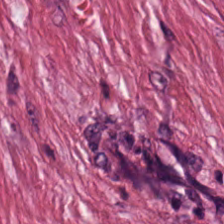Showing tumor-associated stroma.
